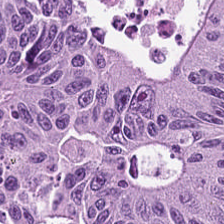Predominant tissue: colorectal adenocarcinoma epithelium.
